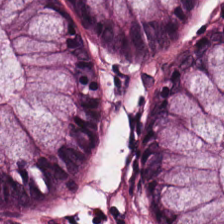Hematoxylin and eosin · WSI patch. The tissue here is benign colonic mucosa.
